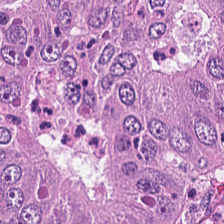Hematoxylin and eosin. Tissue type = malignant epithelium.
